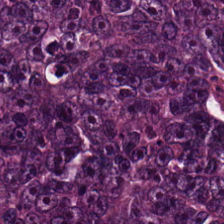Hematoxylin and eosin. FFPE tissue section.
Predominant tissue — tumor epithelium.
